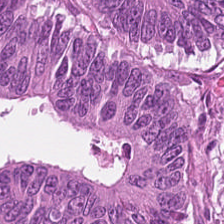Tissue class: colorectal adenocarcinoma.
